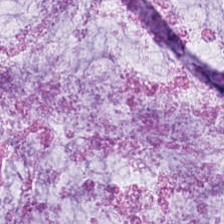The tissue is extracellular mucin.
